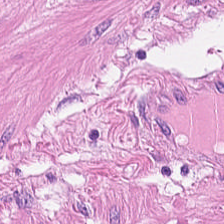Stain: H&E.
Classification: muscularis.
